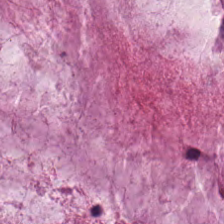Stain: H&E stain.
Acquisition: WSI patch.
Tissue type: mucus.
